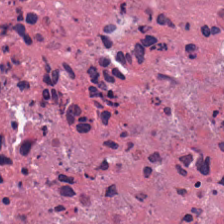The tissue here is debris.
